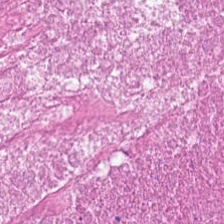Hematoxylin and eosin — Showing cellular debris.
